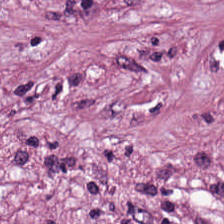Hematoxylin and eosin. Finding — tumor stroma.
